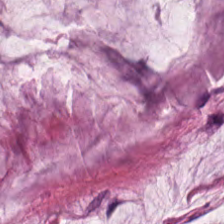Stain: hematoxylin-and-eosin stained section.
Predominant tissue: extracellular mucin.
